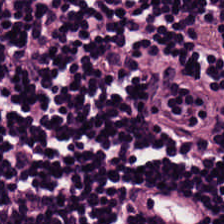Hematoxylin-and-eosin stained section. This patch shows lymphocytes.
